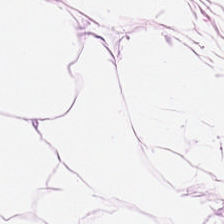H&E-stained tissue section. Formalin-fixed paraffin-embedded section. WSI patch. {"tissue_type": "adipose"}
